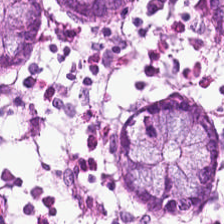Formalin-fixed paraffin-embedded section; hematoxylin-and-eosin stained section.
Q: What tissue is shown?
A: The field shows normal colon mucosa.
